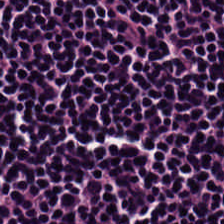Classification: lymphocyte aggregate.
